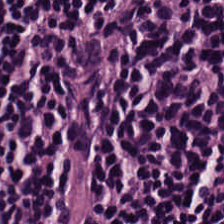H&E. 224×224 pixel tile — This field is lymphoid infiltrate.
